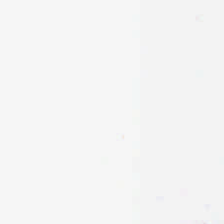Hematoxylin and eosin — Field content: empty background.
